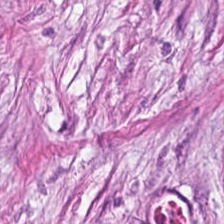Hematoxylin-and-eosin stained section — Showing cancer-associated stroma.
